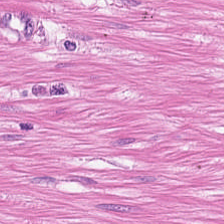H&E stain.
The tissue here is smooth muscle.
